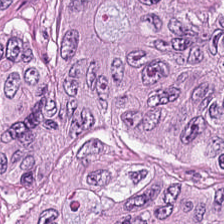This field is colorectal adenocarcinoma epithelium.
